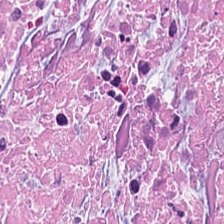Q: Identify the tissue.
A: It is debris.
